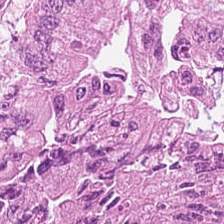The predominant tissue is adenocarcinoma.
